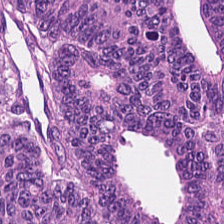Hematoxylin-and-eosin stained section.
The predominant tissue is adenocarcinoma.
